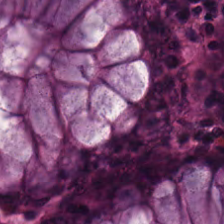Hematoxylin and eosin.
Q: Classify this patch.
A: Non-neoplastic colon mucosa.
